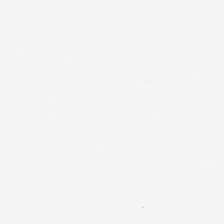Stain: hematoxylin and eosin.
Acquisition: brightfield.
Classification: no tissue.
